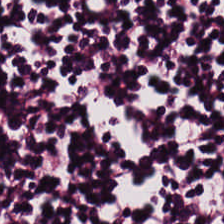0.5 µm per pixel. 224×224 px patch. Hematoxylin and eosin. Tissue class — lymphocytic infiltrate.
